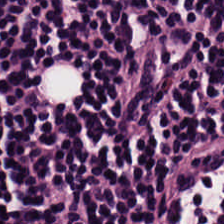Stain: H&E-stained tissue section.
Tile size: 224×224 pixel tile.
Acquisition: WSI patch.
Predominant tissue: lymphocyte aggregate.
